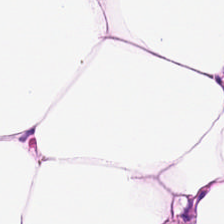Formalin-fixed paraffin-embedded section · hematoxylin and eosin — Tissue — fat tissue.
